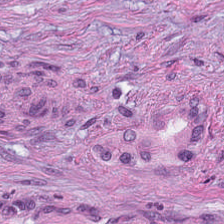224×224 pixel tile. Brightfield microscopy. H&E-stained tissue section. Q: Identify the tissue.
A: It is cancer-associated stroma.
